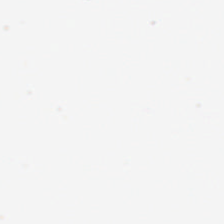FFPE · hematoxylin and eosin — The field content is empty background.
